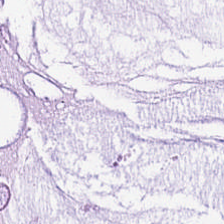Brightfield microscopy · FFPE · H&E-stained tissue section. Predominant tissue: extracellular mucin.
